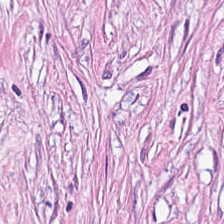Q: Classify this patch.
A: It is cancer-associated stroma.
